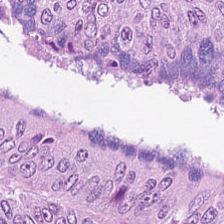FFPE · H&E.
The tissue here is tumor epithelium.
